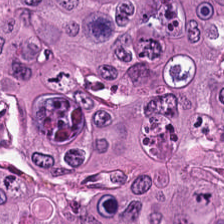Hematoxylin-and-eosin stained section.
Showing colorectal adenocarcinoma.
